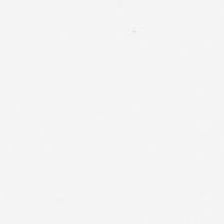Brightfield · H&E.
{"content": "background (no tissue)"}
